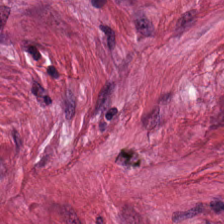H&E — tumor-associated stroma.
